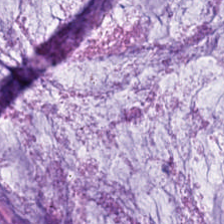Hematoxylin-and-eosin section: extracellular mucin.
